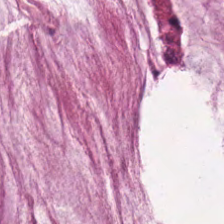Impression → mucin.
